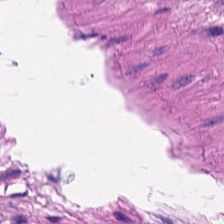Hematoxylin-and-eosin stained section. Smooth-muscle tissue.
